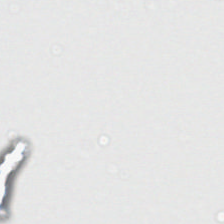Stain: H&E stain.
Tile size: 224×224 px patch.
Content: empty background.
